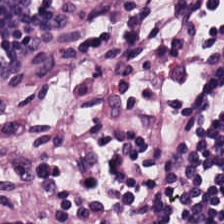20× equivalent magnification; H&E stain. The predominant tissue is lymphoid infiltrate.
